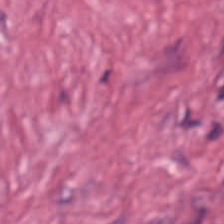Hematoxylin and eosin.
The predominant tissue is tumor stroma.
